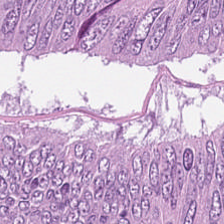Hematoxylin and eosin — Predominant tissue: malignant epithelium.
